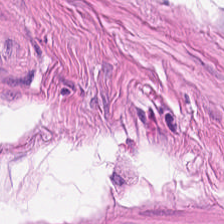H&E stain. Finding — smooth muscle.
